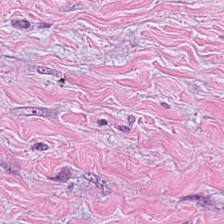Tissue type = tumor stroma.
